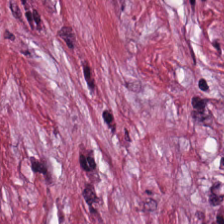Predominant tissue: desmoplastic stroma.
